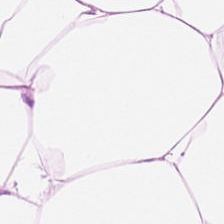Hematoxylin-and-eosin stained section. Finding → adipocytes.
